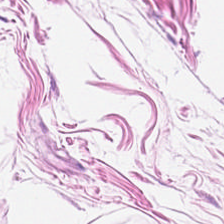Q: What type of tissue is this?
A: Adipose.
